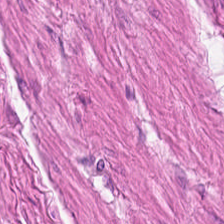The tissue here is muscularis.
